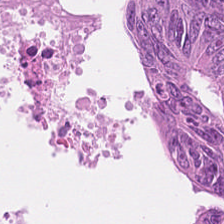H&E stain — The tissue is malignant epithelium.
